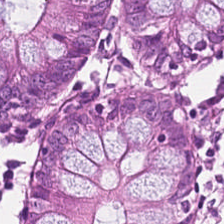Whole-slide-image patch; hematoxylin-and-eosin stained section; formalin-fixed paraffin-embedded section. This patch shows normal colonic mucosa.
